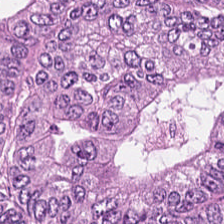{"tissue_type": "tumor epithelium"}
